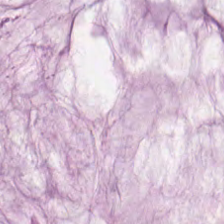H&E stain. Predominant tissue: mucus.
